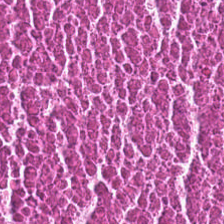{"tissue_type": "debris"}
